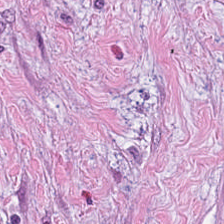Hematoxylin and eosin · brightfield. The tissue here is tumor-associated stroma.
